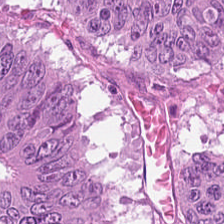H&E · 224×224 px patch.
Predominantly colorectal adenocarcinoma.
